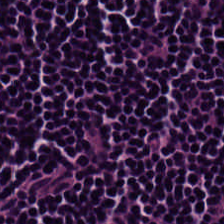H&E-stained tissue section.
Q: Classify this patch.
A: The field shows lymphocytes.
